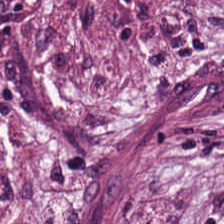H&E stain.
The tissue here is tumor-associated stroma.
